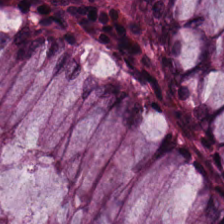Classification = normal colon mucosa.
